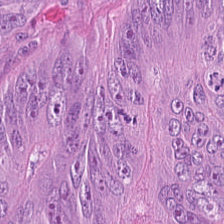224×224 pixel tile; hematoxylin-and-eosin stained section. Finding → adenocarcinoma.
